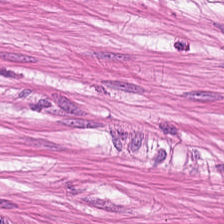Hematoxylin-and-eosin stained section; brightfield microscopy — Smooth-muscle tissue.
